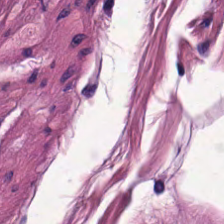H&E-stained tissue section; 0.5 µm/px; 224×224 px patch.
Tissue: muscularis.
